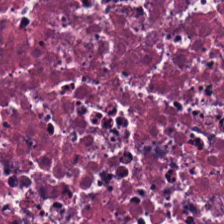0.5 microns per pixel · H&E · brightfield microscopy. {"tissue_type": "necrotic debris"}
